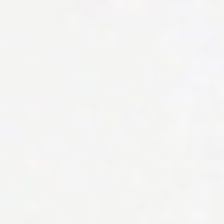Hematoxylin-and-eosin stained section — Content: empty background.
